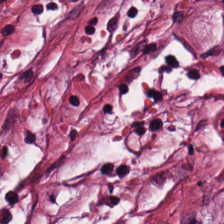Predominantly tumor stroma.
